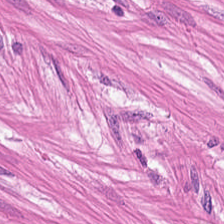H&E-stained tissue section. Formalin-fixed paraffin-embedded section. Whole-slide-image patch — Tissue = muscularis.
